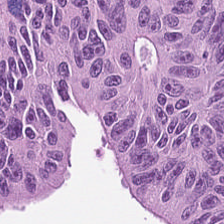224×224 px patch. H&E stain.
Predominant tissue: colorectal adenocarcinoma epithelium.
